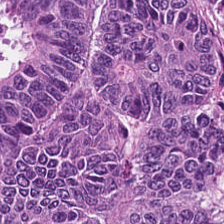Stain: hematoxylin and eosin.
Predominant tissue: tumor epithelium.
